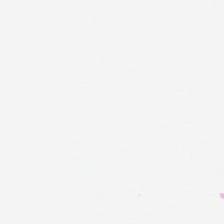H&E-stained tissue section.
Content — background (no tissue).
